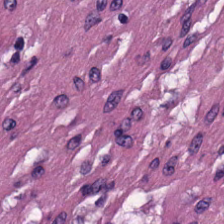H&E-stained tissue section. FFPE. 224×224 pixel tile.
Muscularis.
